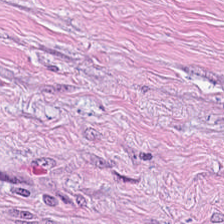Stain: H&E stain.
Tissue: tumor-associated stroma.
